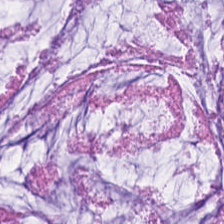H&E stain · brightfield.
Predominant tissue — mucus.
